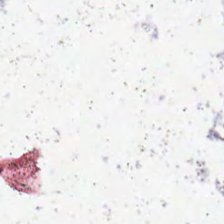Stain: hematoxylin-and-eosin stained section.
Classification: no tissue.
